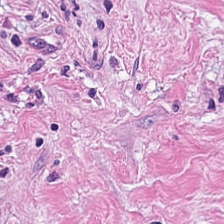H&E-stained tissue section; FFPE.
Impression — cancer-associated stroma.
